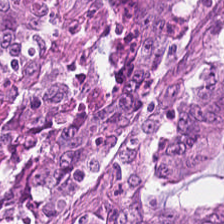Hematoxylin-and-eosin stained section; 0.5 µm/px. Predominantly colorectal adenocarcinoma.
